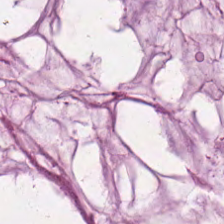0.5 µm/px. Hematoxylin and eosin.
This field is extracellular mucin.
